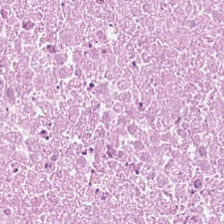Q: Identify the tissue.
A: This is cellular debris.
